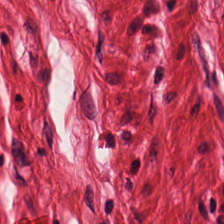H&E-stained tissue section. Showing smooth-muscle tissue.
